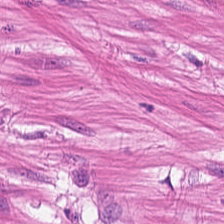H&E-stained tissue section — This field is smooth-muscle tissue.
